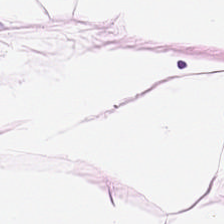20× equivalent magnification. 224×224 px patch. Hematoxylin-and-eosin stained section.
This field is adipose.
